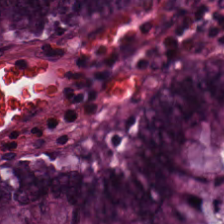H&E stain — Q: What is shown in this field?
A: This is normal colon mucosa.
